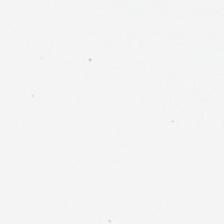Stain: hematoxylin and eosin.
Preparation: FFPE.
Acquisition: whole-slide-image patch.
Content: background.
